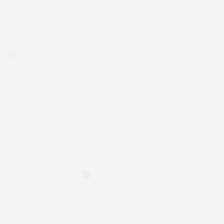H&E — Histology → no tissue.
